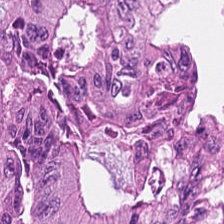Whole-slide-image patch; H&E-stained tissue section. This patch shows colorectal adenocarcinoma epithelium.
